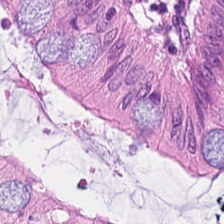0.5 µm per pixel; WSI patch; H&E-stained tissue section. Q: What is shown here?
A: This is normal colon mucosa.
